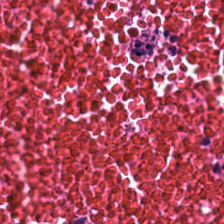0.5 microns per pixel; hematoxylin and eosin. The tissue here is necrotic debris.
